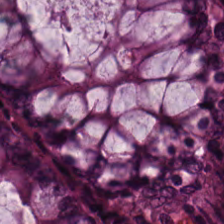H&E — normal colonic mucosa.
